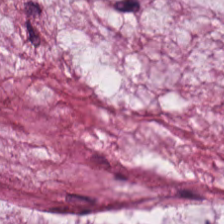Hematoxylin-and-eosin stained section.
Histology → mucus.
